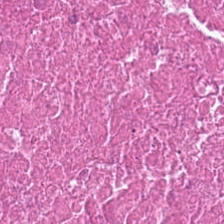Hematoxylin-and-eosin section: cellular debris.
